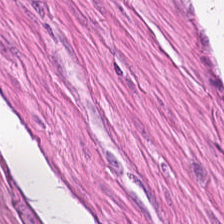Hematoxylin-and-eosin stained section. Q: What tissue is shown?
A: It is muscularis.
